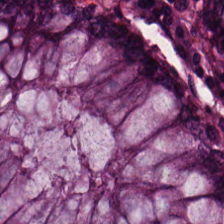H&E.
The tissue here is normal colonic mucosa.
